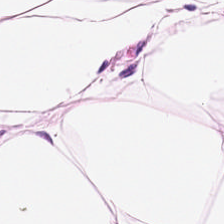Hematoxylin-and-eosin stained section. WSI patch — Tissue — adipocytes.
